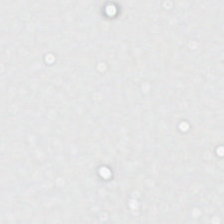No tissue present; background only.
